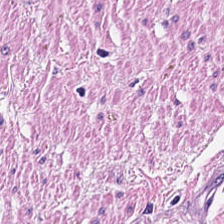H&E. This patch shows muscularis.
